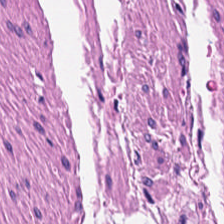Whole-slide-image patch; 0.5 µm/px; H&E-stained tissue section. This patch shows smooth muscle.
